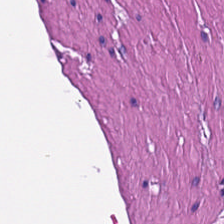H&E. 224×224 px tile.
Tissue type: muscularis.
